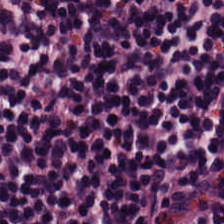H&E stain — Lymphocytes.
